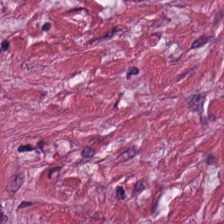H&E stain; 0.5 µm per pixel — Classification = cancer-associated stroma.
